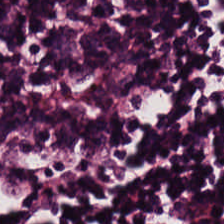FFPE tissue section; H&E stain; 0.5 µm per pixel. Showing lymphocytic infiltrate.
